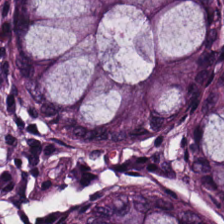The classification is non-neoplastic colon mucosa.
